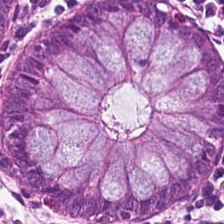Whole-slide-image patch. H&E stain. FFPE tissue section. Predominantly non-neoplastic colon mucosa.
